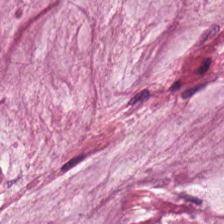Hematoxylin and eosin. Q: What does this patch show?
A: The field shows mucus.
